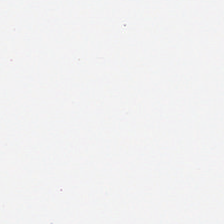Q: Classify this patch.
A: This is no tissue.
